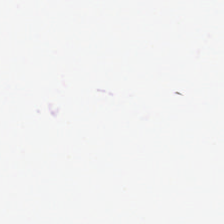0.5 µm/px. Hematoxylin and eosin.
This field is background (no tissue).
